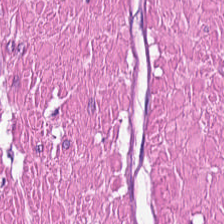Whole-slide-image patch. H&E-stained tissue section. 224×224 px patch — This field is muscularis.
